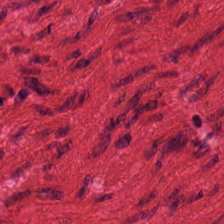H&E — Impression — smooth muscle.
